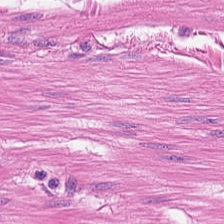Hematoxylin-and-eosin section: smooth muscle.
